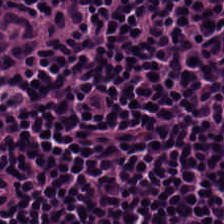H&E-stained tissue section. 224×224 px patch. Classification = lymphocytic infiltrate.
